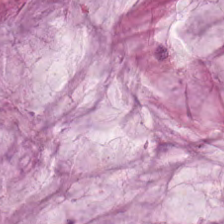H&E stain.
Q: What is shown here?
A: Mucus.
